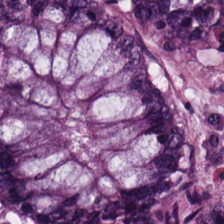H&E-stained tissue section. {"tissue_type": "normal colon mucosa"}
